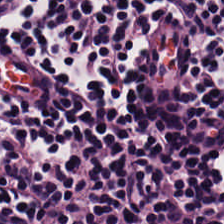Formalin-fixed paraffin-embedded section · 20× equivalent magnification · H&E-stained tissue section. Impression — lymphocyte aggregate.
